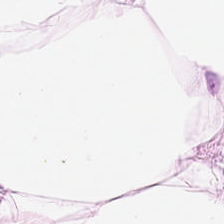H&E stain.
Tissue type — adipocytes.
